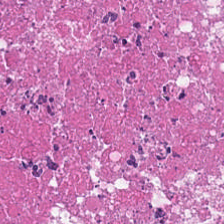H&E-stained tissue section. Whole-slide-image patch. 0.5 µm/px — The tissue class is debris.
